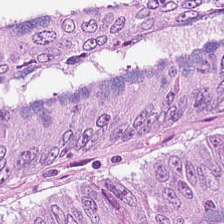FFPE tissue section. 0.5 µm per pixel. H&E-stained tissue section.
Q: What is shown in this field?
A: It is colorectal adenocarcinoma epithelium.
